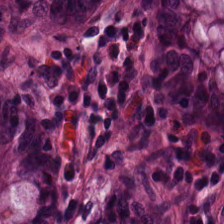H&E stain; 0.5 microns per pixel. Normal colonic mucosa.
